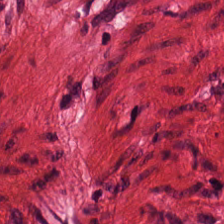H&E-stained tissue section — The tissue here is smooth muscle.
